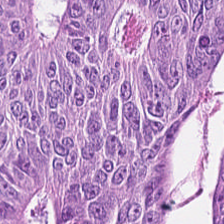Q: What is shown here?
A: It is colorectal adenocarcinoma epithelium.
